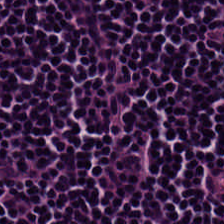Hematoxylin-and-eosin stained section.
Q: Classify this patch.
A: Lymphocyte aggregate.
